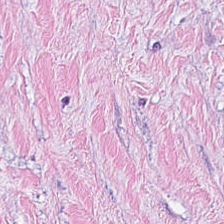Q: What type of tissue is this?
A: This is desmoplastic stroma.
